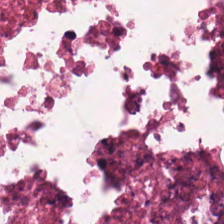Formalin-fixed paraffin-embedded section; H&E.
The tissue class is necrotic debris.
